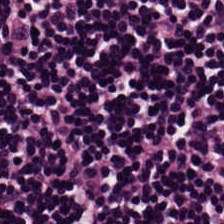H&E. FFPE. Predominant tissue — lymphocytic infiltrate.
